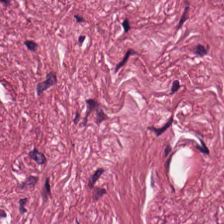Whole-slide-image patch · 224×224 px patch · H&E-stained tissue section — The classification is desmoplastic stroma.
